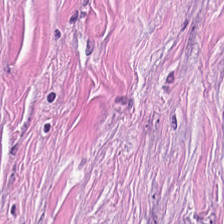Stain: H&E-stained tissue section.
Tissue: desmoplastic stroma.
